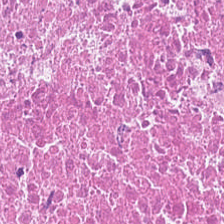H&E patch showing debris.
